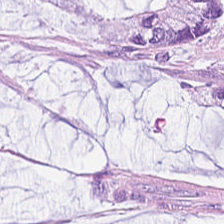Brightfield microscopy. Hematoxylin and eosin. 0.5 µm/px. Predominantly mucin.
